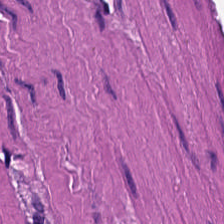H&E stain. Q: What is shown here?
A: It is muscularis.
